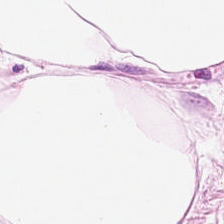Hematoxylin and eosin. The tissue is fat tissue.
